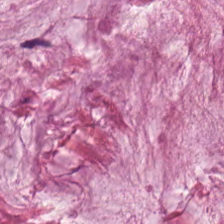Finding → extracellular mucin.
